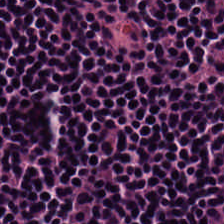H&E — lymphocyte aggregate.
